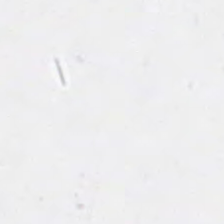H&E · 0.5 µm/px.
Field content = background.
